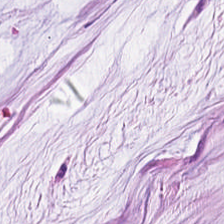20× equivalent magnification. Hematoxylin-and-eosin stained section. FFPE tissue section.
Impression → mucin.
